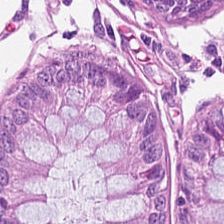H&E stain.
Finding — normal colon mucosa.
